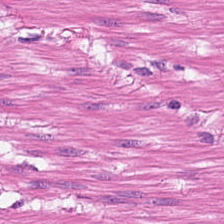Hematoxylin-and-eosin stained section. This field is muscularis.
